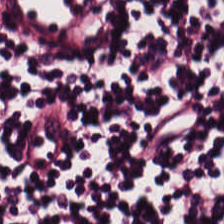Hematoxylin and eosin.
Tissue class = lymphocytes.
